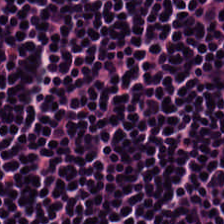{"tissue_type": "lymphocytes"}
